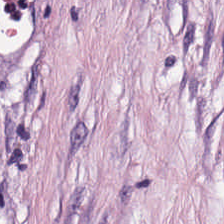Tissue class = tumor stroma.
